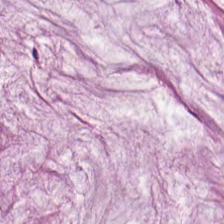Q: What tissue type is shown here?
A: This is mucus.
